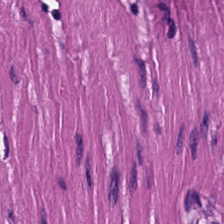H&E; formalin-fixed paraffin-embedded section.
Tissue class: smooth muscle.
